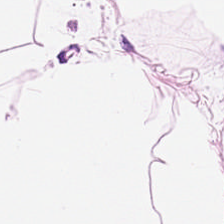H&E-stained section; the field shows adipocytes.
